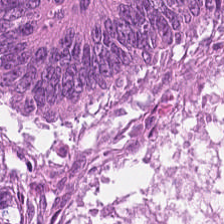H&E — This patch shows adenocarcinoma.
